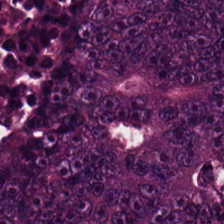Hematoxylin and eosin. Q: What is shown here?
A: Colorectal adenocarcinoma.
